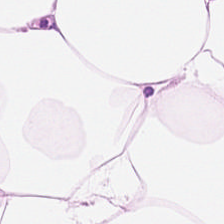H&E stain. The predominant tissue is adipocytes.
